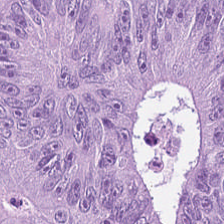Hematoxylin-and-eosin stained section. Formalin-fixed paraffin-embedded section.
Tissue type = malignant epithelium.
